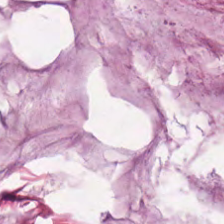Tissue class — extracellular mucin.
